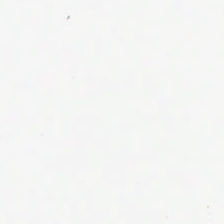H&E stain.
Impression — background.
